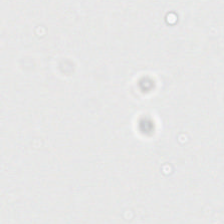H&E stain.
This field is background (no tissue).
